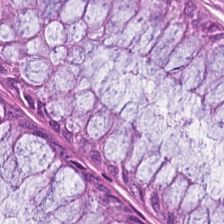Hematoxylin-and-eosin stained section. Histology — non-neoplastic colon mucosa.
